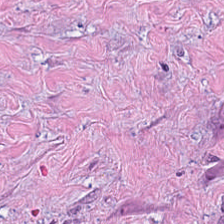Hematoxylin-and-eosin stained section; 20× equivalent magnification — Tissue type = tumor stroma.
